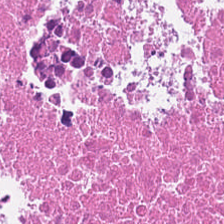224×224 pixel tile; H&E-stained tissue section.
Q: What is the predominant tissue type?
A: The field shows necrotic debris.
